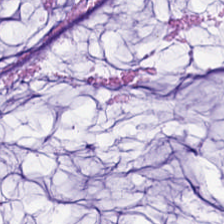Brightfield microscopy; formalin-fixed paraffin-embedded section; hematoxylin and eosin — Classification = mucin.
